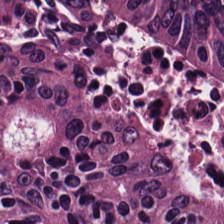Classification: colorectal adenocarcinoma epithelium.
